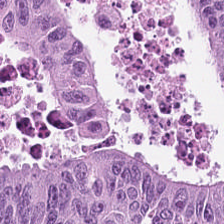Hematoxylin and eosin. Brightfield. Impression → colorectal adenocarcinoma.
